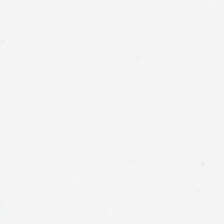{"content": "no tissue"}
